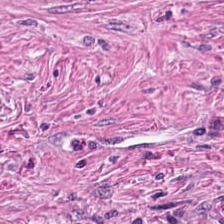Brightfield microscopy · H&E stain.
Showing cancer-associated stroma.
